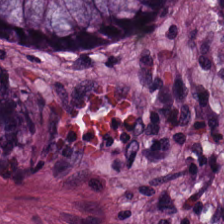224×224 pixel tile · whole-slide-image patch · H&E.
Q: What type of tissue is this?
A: It is normal colonic mucosa.
